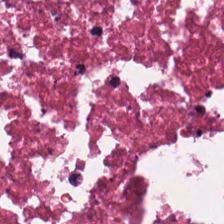Stain: H&E stain.
Resolution: 0.5 µm per pixel.
Tile size: 224×224 pixel tile.
Tissue: cellular debris.
